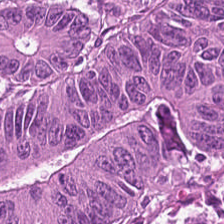Finding → adenocarcinoma.
